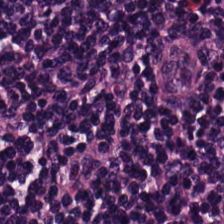Q: What is the predominant tissue type?
A: Lymphocytes.
